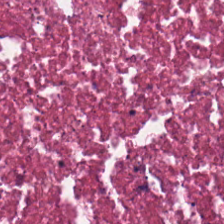Hematoxylin-and-eosin stained section. Tissue type = cellular debris.
